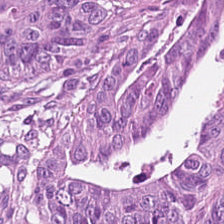Hematoxylin-and-eosin stained section — The predominant tissue is colorectal adenocarcinoma epithelium.
